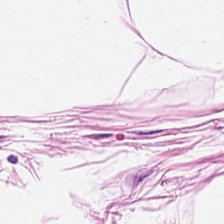H&E-stained tissue section. 224×224 px patch.
Finding — adipocytes.
